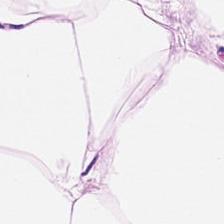Adipocytes.
